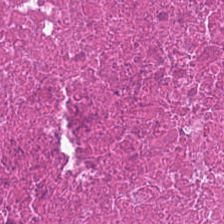FFPE tissue section; 224×224 pixel tile; H&E-stained tissue section — Histology — cellular debris.
